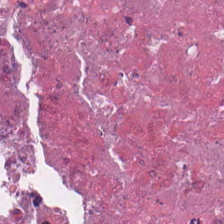20× equivalent magnification · H&E-stained tissue section.
Q: What type of tissue is this?
A: This is debris.
